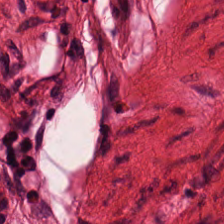Stain: hematoxylin and eosin.
Tissue type: muscularis.
